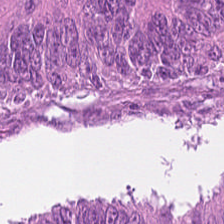Hematoxylin and eosin. FFPE tissue section. Showing colorectal adenocarcinoma.
